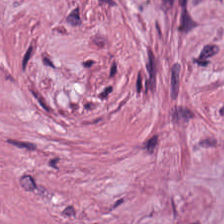The predominant tissue is tumor-associated stroma.
